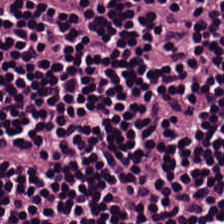H&E-stained tissue section · brightfield. This patch shows lymphocytic infiltrate.
